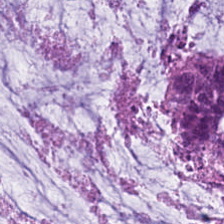Classification = mucus.
